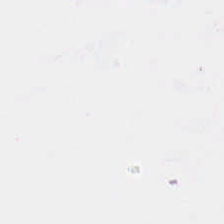H&E — Background — no tissue in this field.
